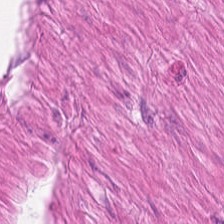FFPE · 224×224 pixel tile · H&E-stained tissue section — This field is muscularis.
